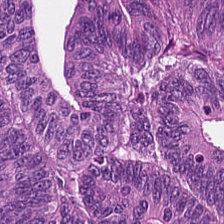H&E-stained tissue section · whole-slide-image patch.
Finding → tumor epithelium.
